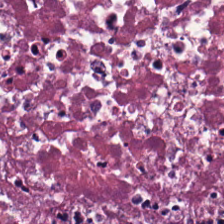FFPE tissue section · H&E-stained tissue section — Showing cellular debris.
